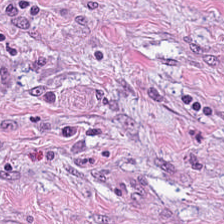Hematoxylin and eosin; 0.5 microns per pixel — Q: What is shown in this field?
A: The field shows tumor-associated stroma.
